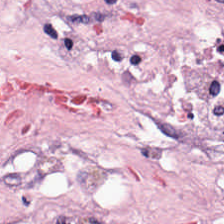H&E-stained tissue section — Histology — desmoplastic stroma.
